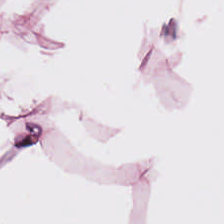H&E-stained tissue section.
The tissue is adipose.
